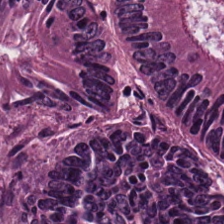0.5 µm/px; H&E stain.
This patch shows tumor epithelium.
